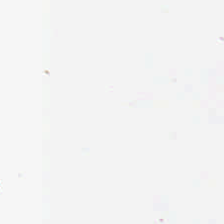Hematoxylin-and-eosin stained section — The classification is empty background.
